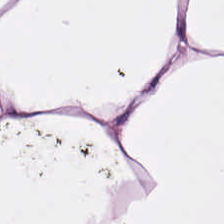FFPE · hematoxylin-and-eosin stained section · 224×224 pixel tile — Histology → adipose tissue.
